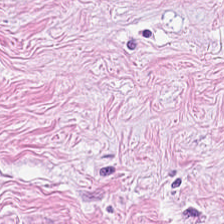224×224 pixel tile · H&E.
{"tissue_type": "cancer-associated stroma"}
